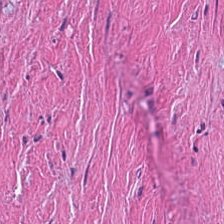Hematoxylin-and-eosin stained section. The tissue here is debris.
